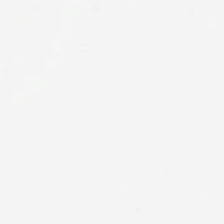Hematoxylin-and-eosin stained section.
Empty field — no tissue.
